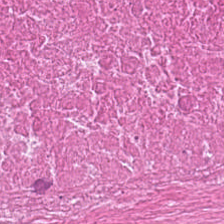H&E. The tissue here is debris.
